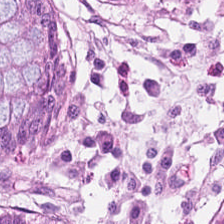0.5 µm per pixel. Hematoxylin-and-eosin stained section.
{"tissue_type": "benign colonic mucosa"}
